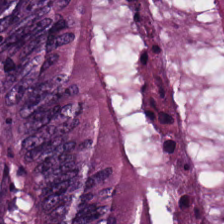Hematoxylin-and-eosin stained section.
{"tissue_type": "malignant epithelium"}
